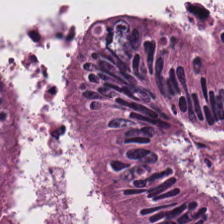WSI patch. H&E-stained tissue section — Histology → colorectal adenocarcinoma epithelium.
